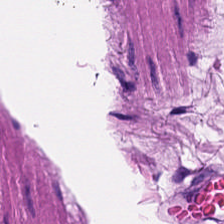Stain: hematoxylin-and-eosin stained section.
Tissue class: smooth-muscle tissue.
